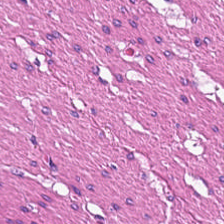H&E stain. This field is muscularis.
